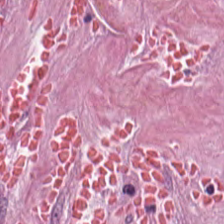H&E stain — Q: What tissue type is shown here?
A: Tumor-associated stroma.
